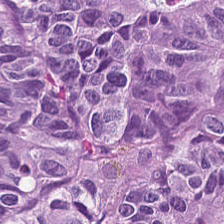H&E-stained tissue section showing tumor epithelium.
